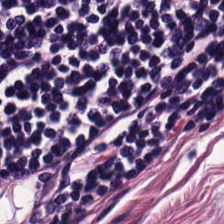Q: Classify this patch.
A: The field shows lymphoid infiltrate.
